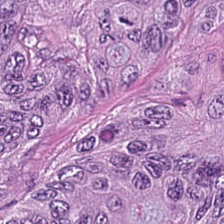H&E stain; 224×224 px tile. Q: What tissue is shown?
A: The field shows colorectal adenocarcinoma epithelium.
